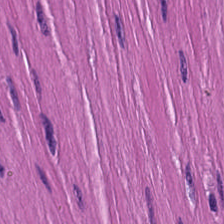Tissue: smooth-muscle tissue.
